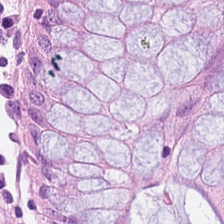H&E patch showing non-neoplastic colon mucosa.
